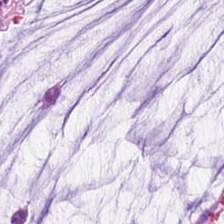Stain: H&E-stained tissue section.
Tissue class: extracellular mucin.
